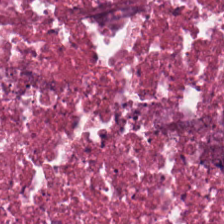Hematoxylin and eosin.
This field is necrotic debris.
